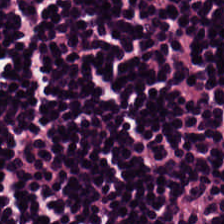H&E stain — Q: What is the predominant tissue type?
A: The field shows lymphocyte aggregate.
